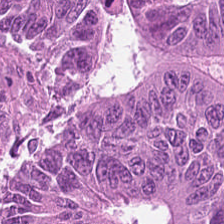H&E stain — Tissue type: malignant epithelium.
